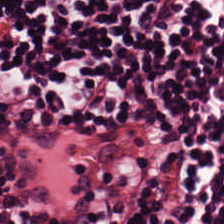20× equivalent magnification; hematoxylin-and-eosin stained section — The predominant tissue is lymphocyte aggregate.
